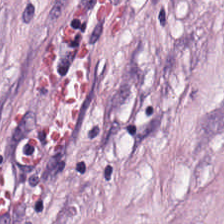H&E-stained tissue section. The tissue here is tumor-associated stroma.
